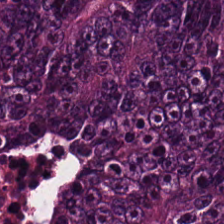Predominantly colorectal adenocarcinoma epithelium.
